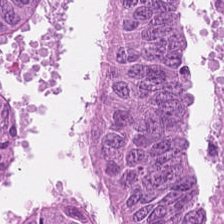Hematoxylin-and-eosin stained section.
Tissue class: tumor epithelium.
